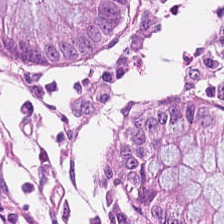H&E stain. Q: What tissue is shown?
A: This is benign colonic mucosa.
